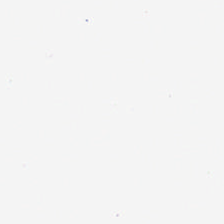Hematoxylin and eosin — Field content: background (no tissue).
